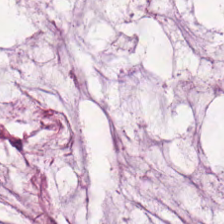224×224 pixel tile · 0.5 µm per pixel · H&E stain. The classification is mucus.
